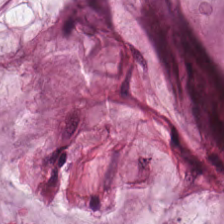Q: What is the predominant tissue type?
A: This is mucus.
